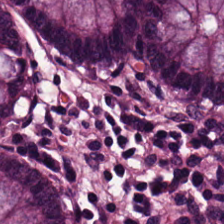Formalin-fixed paraffin-embedded section; hematoxylin and eosin; 20× equivalent magnification. Showing benign colonic mucosa.
